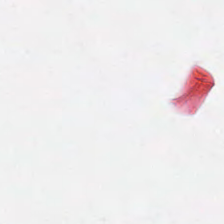H&E-stained tissue section; formalin-fixed paraffin-embedded section; 0.5 µm per pixel — This field is background (no tissue).
